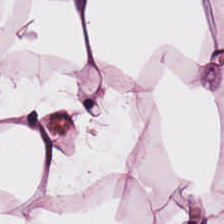H&E stain.
Classification: fat tissue.
